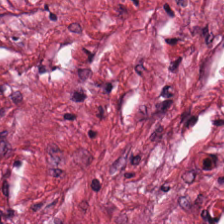0.5 microns per pixel; H&E-stained tissue section — The tissue class is tumor-associated stroma.
